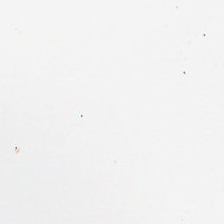Background — no tissue in this field.
